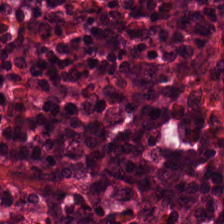H&E-stained tissue section.
Normal colon mucosa.
